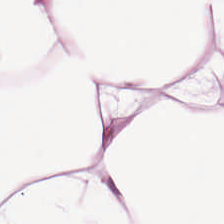FFPE · H&E stain.
Q: What type of tissue is this?
A: The field shows adipose.
